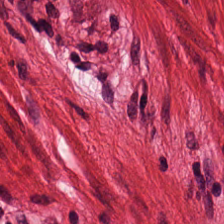H&E-stained tissue section — Classification = muscularis.
